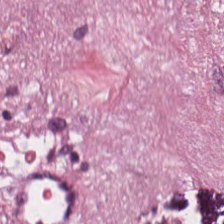Hematoxylin and eosin. 224×224 pixel tile — Showing desmoplastic stroma.
